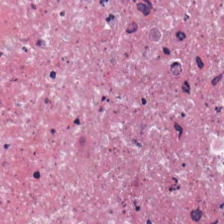H&E — Predominantly necrotic debris.
